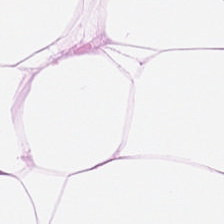Formalin-fixed paraffin-embedded section. Hematoxylin-and-eosin stained section. Fat tissue.
